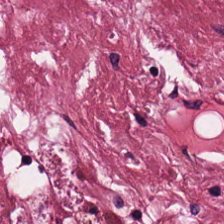Formalin-fixed paraffin-embedded section. Hematoxylin-and-eosin stained section. Predominantly tumor stroma.
